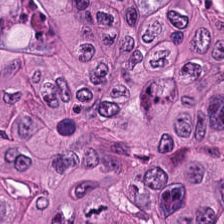Hematoxylin and eosin; 224×224 px patch. {"tissue_type": "adenocarcinoma"}
